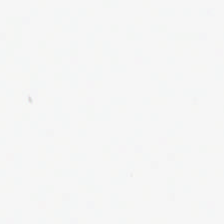Empty field — empty background.
